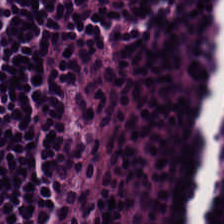H&E stain. Predominantly lymphocytic infiltrate.
